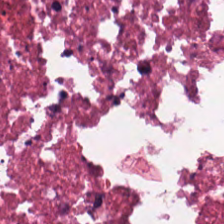224×224 px patch. H&E-stained tissue section. 0.5 microns per pixel — Classification: necrotic debris.
